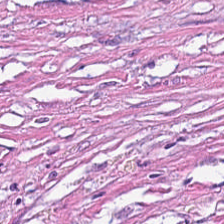H&E-stained tissue section.
{"tissue_type": "desmoplastic stroma"}
